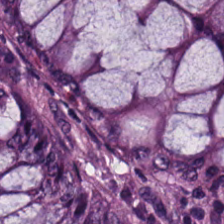224×224 px patch. H&E-stained tissue section.
Impression — normal colonic mucosa.
